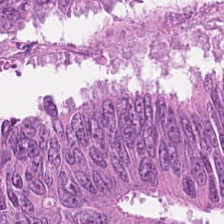Stain: H&E-stained tissue section.
Predominant tissue: adenocarcinoma.
